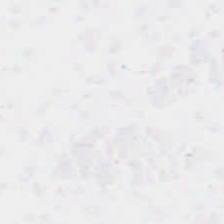Hematoxylin and eosin.
Classification: empty background.
